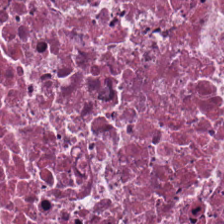H&E-stained tissue section. Q: What does this patch show?
A: Cellular debris.
